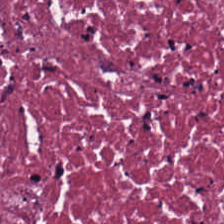Tissue type — debris.
